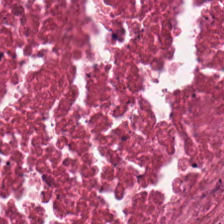FFPE tissue section · brightfield microscopy · H&E-stained tissue section.
Predominantly cellular debris.
